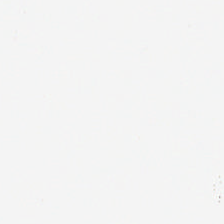H&E; 224×224 px patch — Q: What is shown here?
A: It is background (no tissue).
